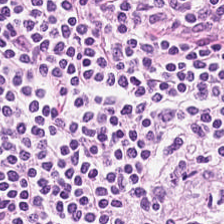The tissue here is lymphocytic infiltrate.
